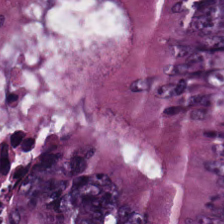Hematoxylin and eosin. Predominantly colorectal adenocarcinoma epithelium.
